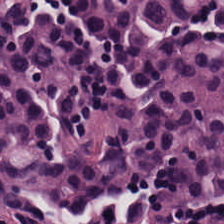The classification is lymphocytes.
